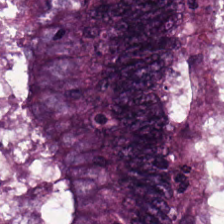Whole-slide-image patch · hematoxylin and eosin. The predominant tissue is malignant epithelium.
